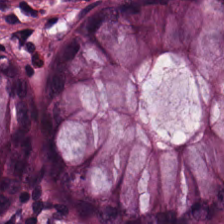Stain: H&E.
Tissue class: normal colon mucosa.
